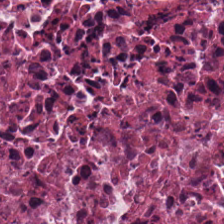Tissue type = debris.
